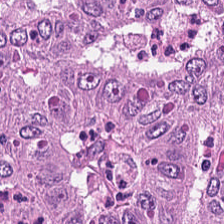H&E stain; 224×224 px patch. Histology — colorectal adenocarcinoma epithelium.
